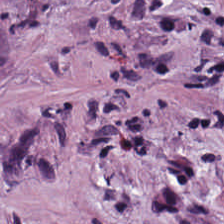224×224 px tile · FFPE · H&E-stained tissue section.
Classification = tumor-associated stroma.
